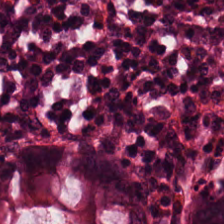Hematoxylin and eosin. Histology — normal colon mucosa.
